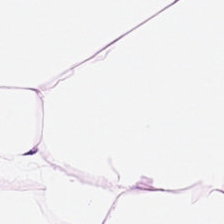20× equivalent magnification · brightfield · H&E. {"tissue_type": "adipocytes"}
